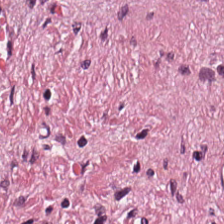Hematoxylin and eosin. The predominant tissue is tumor-associated stroma.
